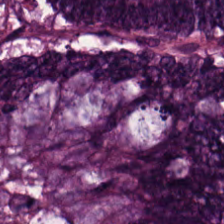H&E stain — Finding → tumor epithelium.
